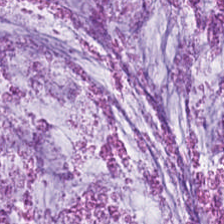Hematoxylin-and-eosin stained section. 0.5 microns per pixel. 224×224 px tile. This field is mucus.
